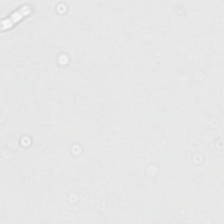Hematoxylin-and-eosin stained section. 224×224 px patch. {"content": "background (no tissue)"}
